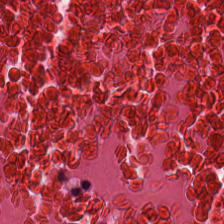Stain: hematoxylin-and-eosin stained section.
Tissue class: debris.
